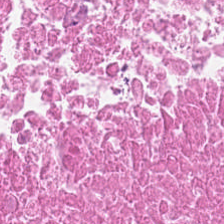0.5 µm per pixel; H&E-stained tissue section; formalin-fixed paraffin-embedded section. The tissue here is necrotic debris.
